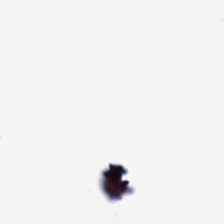H&E.
Empty field — background (no tissue).
